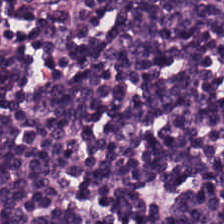Formalin-fixed paraffin-embedded section; H&E stain — Showing lymphocytes.
